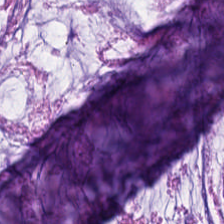Hematoxylin-and-eosin stained section · 224×224 px tile. Classification: mucus.
